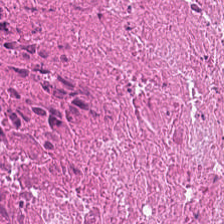H&E-stained tissue section. {"tissue_type": "cellular debris"}
